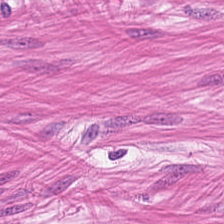Formalin-fixed paraffin-embedded section. 224×224 pixel tile. H&E stain. Q: Classify this patch.
A: This is smooth muscle.
